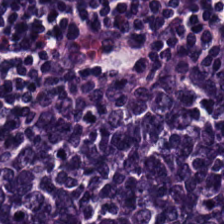H&E-stained tissue section. This patch shows lymphocyte aggregate.
